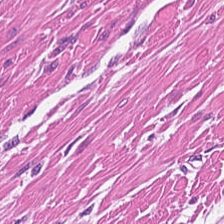H&E-stained tissue section; brightfield microscopy.
This field is muscularis.
